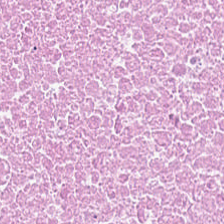H&E stain. The predominant tissue is debris.
